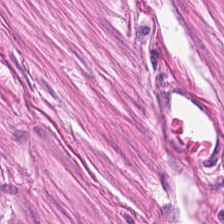H&E stain — The tissue is muscularis.
